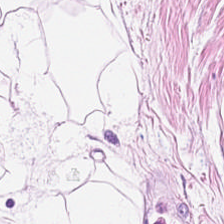H&E — Classification = fat tissue.
